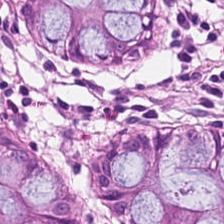H&E-stained tissue section. WSI patch. FFPE tissue section. This patch shows normal colonic mucosa.
